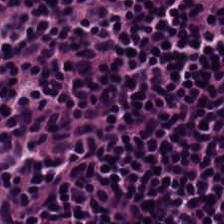WSI patch; H&E-stained tissue section. Q: What does this patch show?
A: Lymphoid infiltrate.
